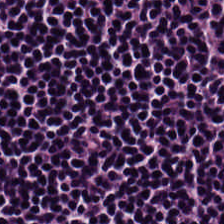224×224 pixel tile. H&E-stained tissue section.
Q: Classify this patch.
A: Lymphocytic infiltrate.
